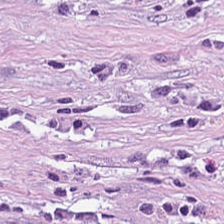Stain: hematoxylin and eosin.
Tile size: 224×224 pixel tile.
Tissue: cancer-associated stroma.
